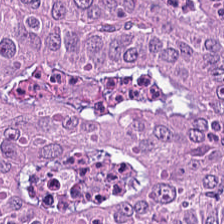H&E-stained tissue section.
{"tissue_type": "malignant epithelium"}
